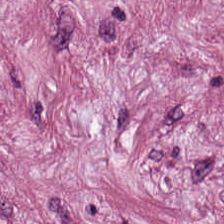Stain: H&E-stained tissue section.
Acquisition: brightfield.
Tissue type: tumor stroma.
